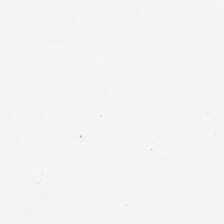Hematoxylin and eosin; formalin-fixed paraffin-embedded section.
Finding → empty background.
